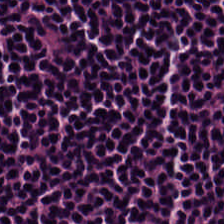H&E · 0.5 µm per pixel. This field is lymphocytes.
